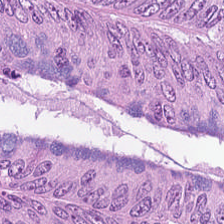H&E — Tissue — adenocarcinoma.
